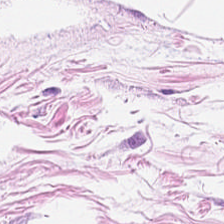Hematoxylin-and-eosin stained section — Tissue type = adipocytes.
